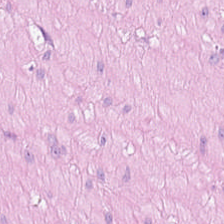Hematoxylin and eosin; brightfield microscopy. Showing smooth muscle.
